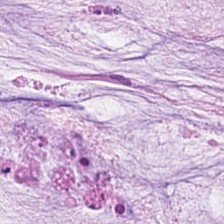H&E.
The predominant tissue is mucus.
